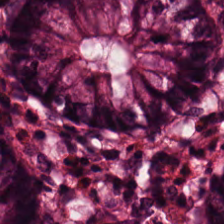Showing benign colonic mucosa.
